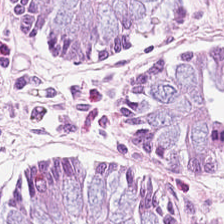Hematoxylin-and-eosin stained section — The tissue class is normal colonic mucosa.
